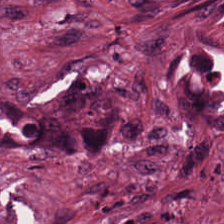Hematoxylin and eosin; FFPE; 20× equivalent magnification.
This patch shows desmoplastic stroma.
